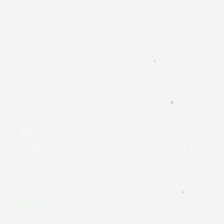The content is empty background.
